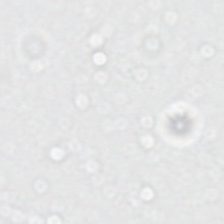Formalin-fixed paraffin-embedded section · H&E stain.
Field content = background (no tissue).
